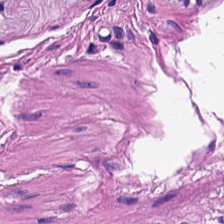0.5 microns per pixel; 224×224 px tile; H&E-stained tissue section — Predominant tissue: muscularis.
